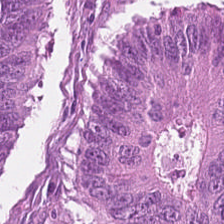H&E stain. 0.5 µm/px.
This patch shows colorectal adenocarcinoma.
